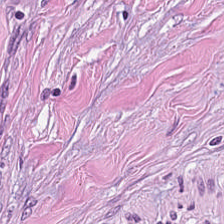Hematoxylin-and-eosin stained section.
Q: Classify this patch.
A: It is tumor-associated stroma.
